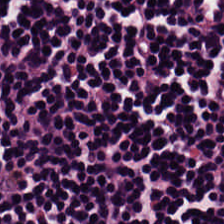WSI patch; H&E stain — The predominant tissue is lymphocyte aggregate.
